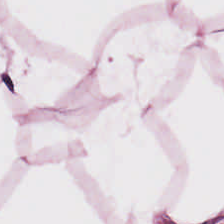FFPE. H&E — The tissue here is adipose.
